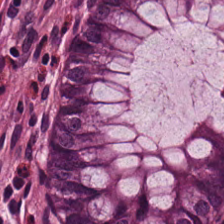Hematoxylin and eosin — Tissue: benign colonic mucosa.
